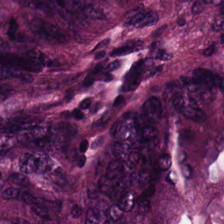H&E stain. Histology → adenocarcinoma.
